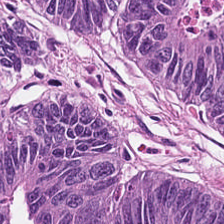Formalin-fixed paraffin-embedded section · H&E-stained tissue section · brightfield.
Showing colorectal adenocarcinoma.
